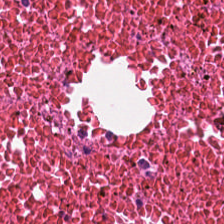H&E-stained tissue section; FFPE. Tissue type = cellular debris.
